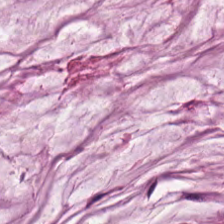H&E — Mucus.
